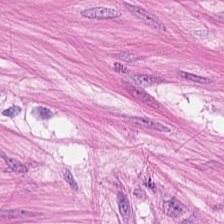H&E. 224×224 pixel tile.
Predominant tissue: smooth muscle.
